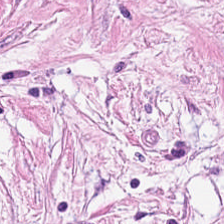H&E — Tissue class = desmoplastic stroma.
